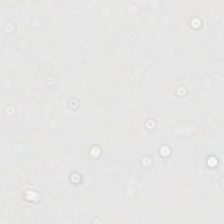H&E. Whole-slide-image patch. Classification: background.
